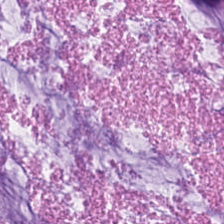Stain: hematoxylin and eosin.
Acquisition: brightfield microscopy.
Preparation: FFPE.
Tissue: extracellular mucin.
